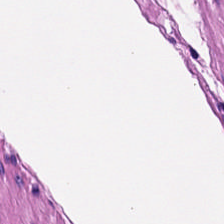Hematoxylin-and-eosin stained section — This patch shows muscularis.
